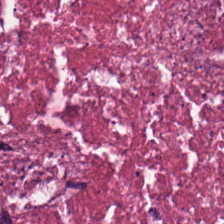224×224 px tile; hematoxylin-and-eosin stained section; FFPE tissue section — The tissue here is cellular debris.
